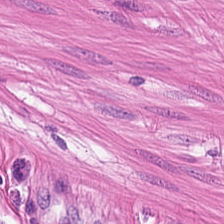{"tissue_type": "smooth muscle"}
